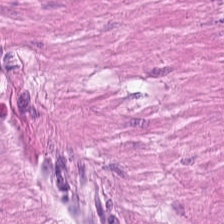Tissue class — smooth-muscle tissue.
